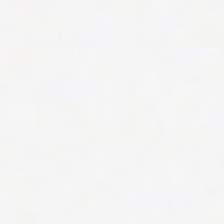Q: Classify this patch.
A: It is background (no tissue).
